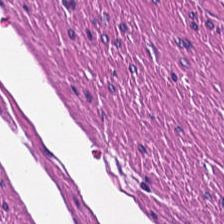Brightfield · H&E stain · 224×224 px patch. Smooth-muscle tissue.
